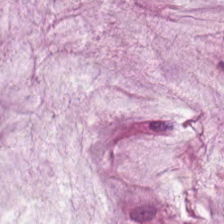0.5 microns per pixel. H&E stain. Whole-slide-image patch. The tissue here is mucin.
